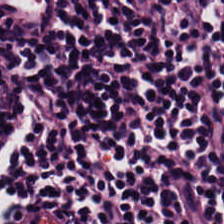Q: What type of tissue is this?
A: It is lymphocyte aggregate.
